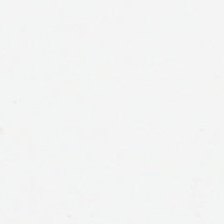H&E-stained tissue section. Q: What is shown here?
A: The field shows empty background.
